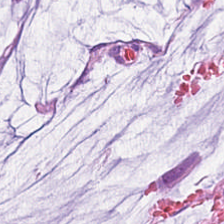H&E-stained tissue section. FFPE. 224×224 pixel tile — The tissue here is mucus.
